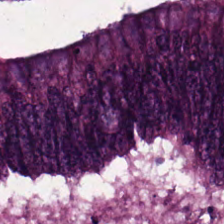H&E stain — Predominantly adenocarcinoma.
